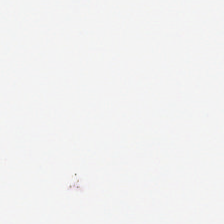FFPE tissue section · 0.5 microns per pixel · hematoxylin-and-eosin stained section. Histology → no tissue.
